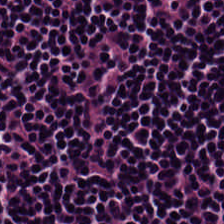Histology → lymphocytic infiltrate.
